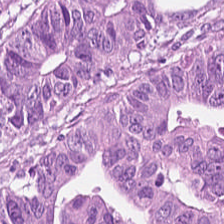This field is colorectal adenocarcinoma.
